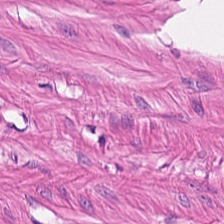Hematoxylin and eosin — Q: What is the predominant tissue type?
A: This is smooth-muscle tissue.
